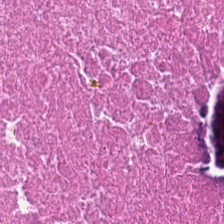Formalin-fixed paraffin-embedded section · hematoxylin and eosin. Showing cellular debris.
